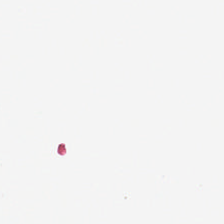WSI patch · hematoxylin-and-eosin stained section — The field content is empty background.
